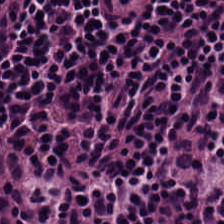H&E stain — Classification — lymphocytes.
